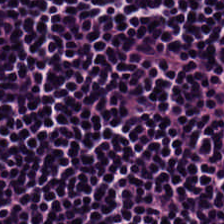H&E — Histology → lymphocytic infiltrate.
